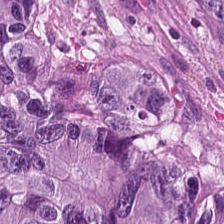H&E.
{"tissue_type": "colorectal adenocarcinoma epithelium"}
